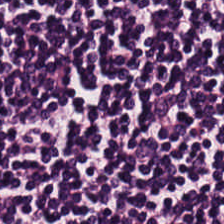Stain: H&E stain.
Resolution: 0.5 µm/px.
Predominant tissue: lymphocytic infiltrate.
